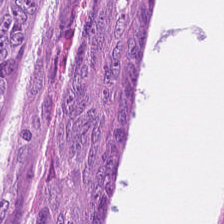20× equivalent magnification; 224×224 px patch; H&E-stained tissue section. The classification is tumor epithelium.
